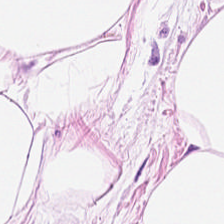Hematoxylin-and-eosin stained section.
Impression → fat tissue.
